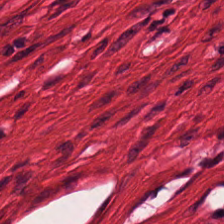Hematoxylin and eosin — Tissue type = smooth muscle.
